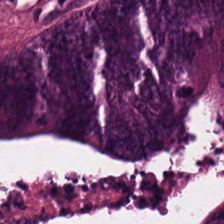Hematoxylin-and-eosin stained section. Tissue class: tumor epithelium.
